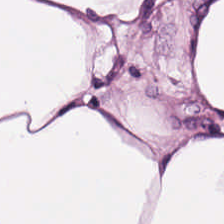FFPE tissue section · H&E-stained tissue section — Classification: fat tissue.
